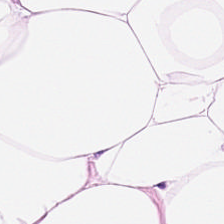Tissue — adipocytes.
